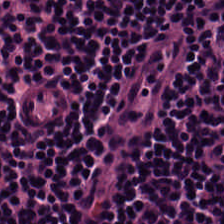Hematoxylin-and-eosin stained section — Tissue = lymphocyte aggregate.
